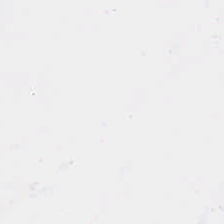Empty field — empty background.
